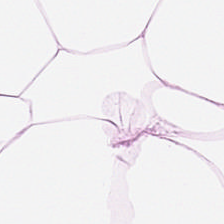Hematoxylin-and-eosin stained section.
Q: What tissue type is shown here?
A: This is adipose.
